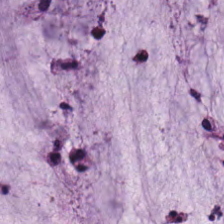H&E stain.
Showing mucin.
